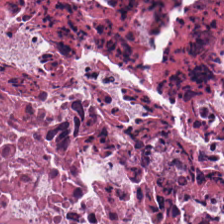H&E — Q: What is shown here?
A: This is necrotic debris.
